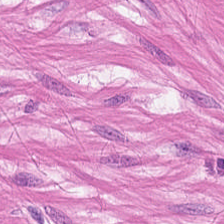Hematoxylin-and-eosin stained section.
Tissue — smooth-muscle tissue.
